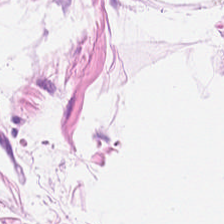Classification = adipose.
